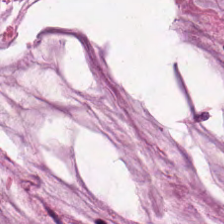H&E · formalin-fixed paraffin-embedded section.
{"tissue_type": "mucus"}
